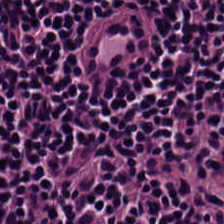0.5 µm/px. 224×224 px patch. Hematoxylin and eosin. Tissue: lymphoid infiltrate.
